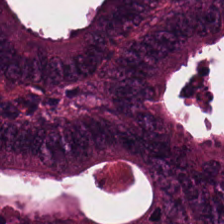Hematoxylin-and-eosin stained section. Q: What is shown in this field?
A: It is adenocarcinoma.
